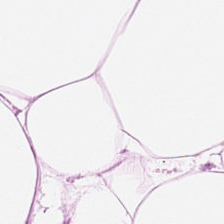Hematoxylin-and-eosin stained section — This patch shows adipose.
